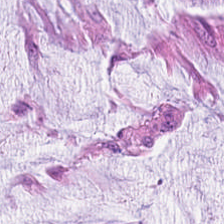Histology → mucin.
